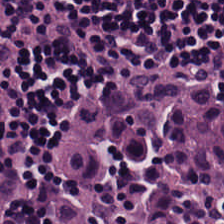H&E stain — Lymphocytic infiltrate.
